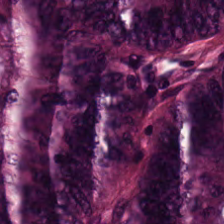Brightfield microscopy; H&E-stained tissue section. Tissue class: colorectal adenocarcinoma.
